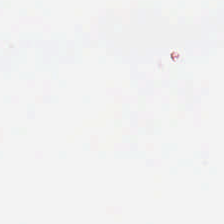Brightfield. 224×224 px tile. H&E stain.
{"content": "background"}
